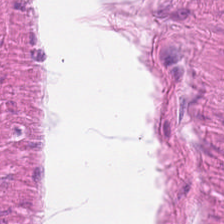Hematoxylin-and-eosin stained section. This patch shows smooth muscle.
